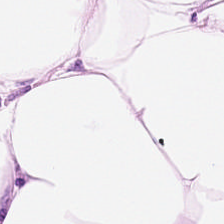H&E stain. 224×224 px tile — Predominant tissue — adipose.
